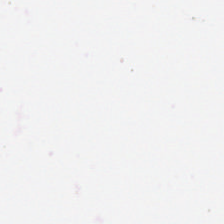H&E stain · 224×224 px patch — Finding → background (no tissue).
